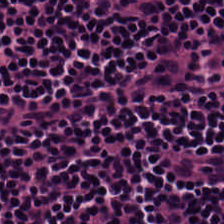This field is lymphocytic infiltrate.
